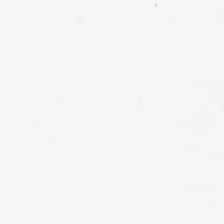Hematoxylin and eosin — Finding — background (no tissue).
